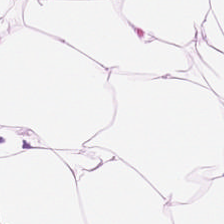224×224 pixel tile. FFPE. H&E stain — The tissue type is fat tissue.
